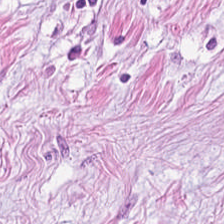H&E stain; 224×224 px tile; 20× equivalent magnification. This patch shows cancer-associated stroma.
